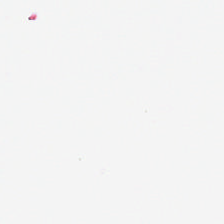H&E-stained tissue section — The field content is no tissue.
